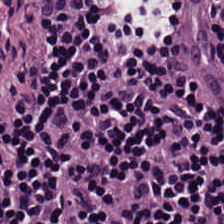H&E-stained tissue section — This field is lymphocytic infiltrate.
